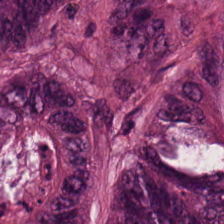Tissue class — tumor epithelium.
